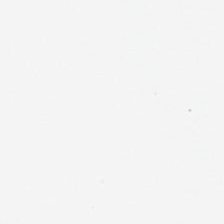H&E. WSI patch.
The field content is no tissue.
